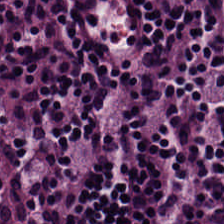H&E-stained tissue section. Showing lymphocytic infiltrate.
